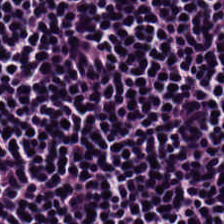Hematoxylin and eosin. Impression — lymphoid infiltrate.
